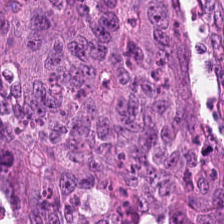Tissue type — colorectal adenocarcinoma.
